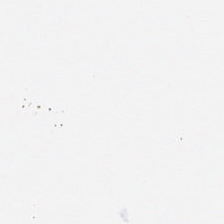Content: empty background.
